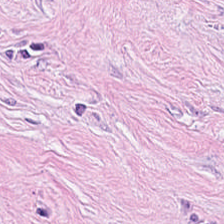Brightfield microscopy; hematoxylin-and-eosin stained section.
Tissue class = cancer-associated stroma.
